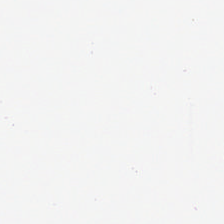Q: What does this patch show?
A: It is adipose.
